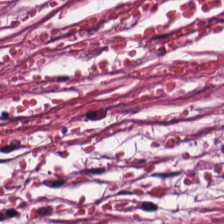Classification: cancer-associated stroma.
